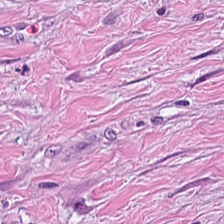Histology → tumor stroma.
